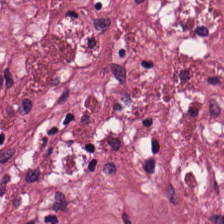H&E. Tissue class: tumor-associated stroma.
